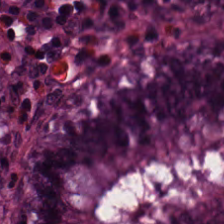Hematoxylin-and-eosin stained section · 0.5 µm/px — The predominant tissue is non-neoplastic colon mucosa.
